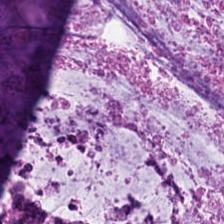Stain: H&E.
Preparation: formalin-fixed paraffin-embedded section.
Predominant tissue: mucin.
